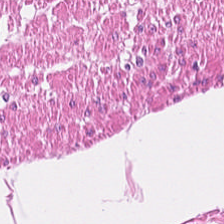Stain: hematoxylin and eosin.
Classification: smooth-muscle tissue.
